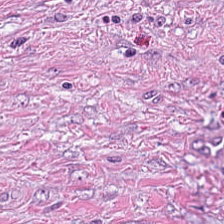224×224 px patch. Hematoxylin and eosin.
Q: Classify this patch.
A: Cancer-associated stroma.
